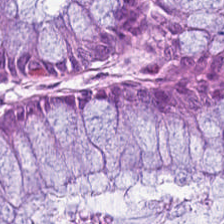Hematoxylin-and-eosin stained section — The predominant tissue is non-neoplastic colon mucosa.
